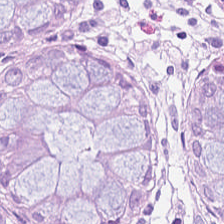Stain: hematoxylin-and-eosin stained section.
Tissue class: non-neoplastic colon mucosa.
